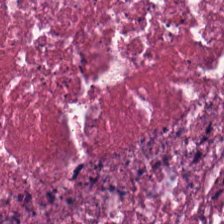H&E-stained tissue section · brightfield microscopy.
Q: What is the predominant tissue type?
A: This is debris.
